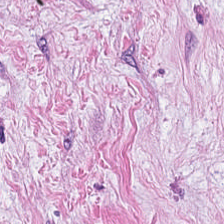Predominantly tumor-associated stroma.
